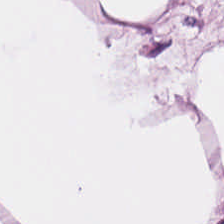Brightfield microscopy · H&E stain.
Predominant tissue = adipose tissue.
